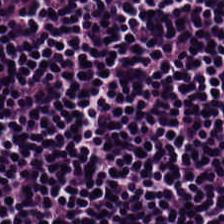Formalin-fixed paraffin-embedded section. Hematoxylin-and-eosin stained section — Lymphocyte aggregate.
